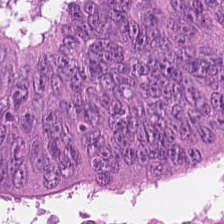Classification = colorectal adenocarcinoma epithelium.
